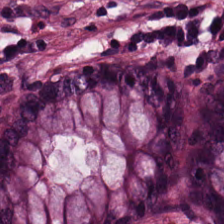Tissue — normal colon mucosa.
